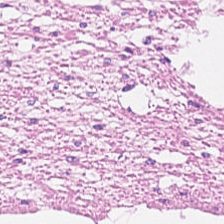Hematoxylin-and-eosin stained section — The tissue here is muscularis.
